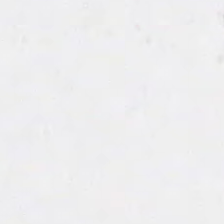H&E stain.
Q: What does this patch show?
A: No tissue.
